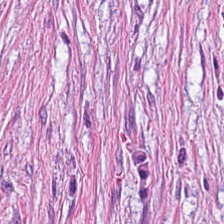WSI patch; H&E.
Finding → desmoplastic stroma.
